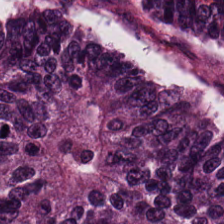224×224 pixel tile; hematoxylin-and-eosin stained section; 0.5 µm per pixel. Tissue = malignant epithelium.
